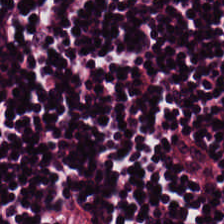H&E-stained tissue section — Histology — lymphocytes.
